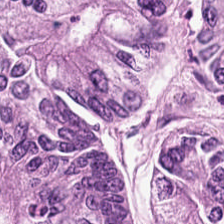Hematoxylin-and-eosin stained section. Histology → adenocarcinoma.
